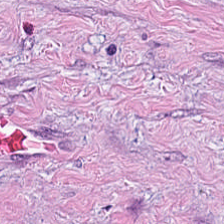H&E — cancer-associated stroma.
